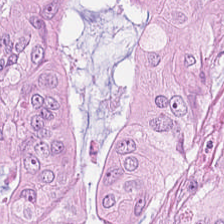H&E. 0.5 µm per pixel. The tissue class is adenocarcinoma.
